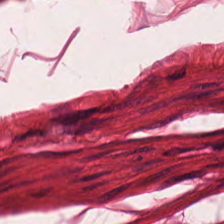0.5 µm/px; 224×224 px patch; H&E. Impression — smooth-muscle tissue.
